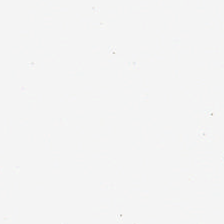H&E. Impression → background (no tissue).
